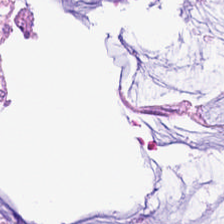The tissue here is non-neoplastic colon mucosa.
